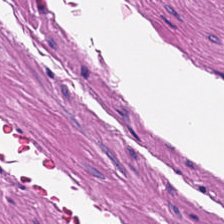Hematoxylin and eosin; WSI patch. Q: What is the predominant tissue type?
A: Smooth-muscle tissue.
